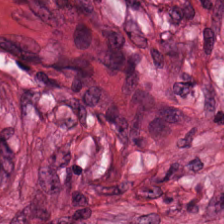FFPE · hematoxylin and eosin — This patch shows cancer-associated stroma.
